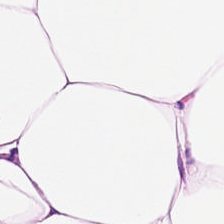Predominantly adipocytes.
